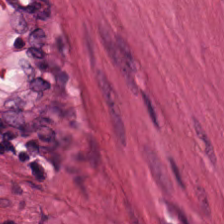{"tissue_type": "smooth muscle"}
